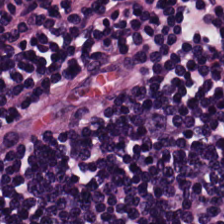H&E-stained tissue section. Lymphocytes.
